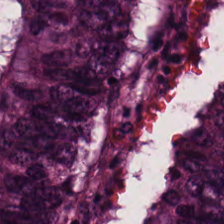H&E-stained tissue section.
Predominantly adenocarcinoma.
